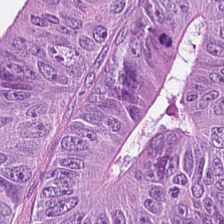Brightfield microscopy; hematoxylin-and-eosin stained section — The predominant tissue is adenocarcinoma.
